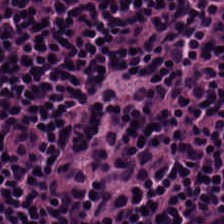H&E — The classification is lymphoid infiltrate.
